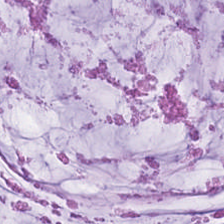Tissue class — mucin.
